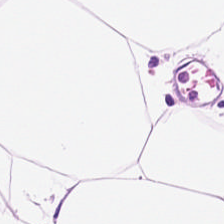Stain: H&E stain.
Classification: fat tissue.
